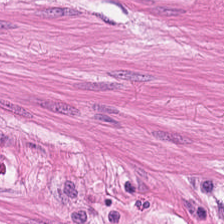Whole-slide-image patch · H&E.
Q: What is shown here?
A: This is smooth-muscle tissue.
